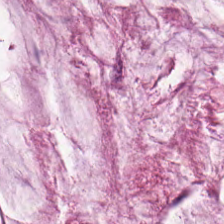H&E stain; 20× equivalent magnification; 224×224 px patch — Predominantly mucus.
